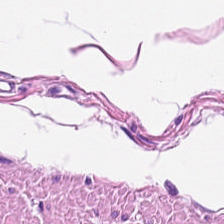Impression → smooth-muscle tissue.
